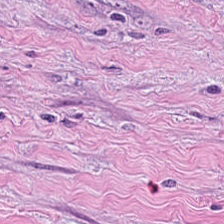Brightfield; hematoxylin-and-eosin stained section. Q: What is shown here?
A: It is desmoplastic stroma.
